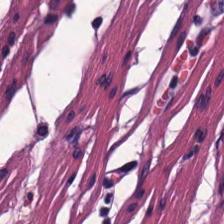Hematoxylin-and-eosin stained section.
Q: What is shown in this field?
A: It is smooth muscle.
